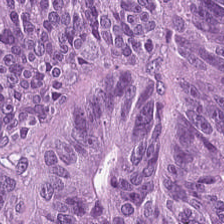Brightfield; hematoxylin and eosin — The predominant tissue is colorectal adenocarcinoma.
